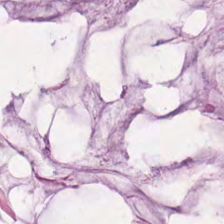Tissue type = extracellular mucin.
